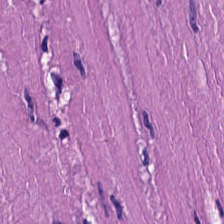Stain: H&E-stained tissue section.
Resolution: 0.5 µm/px.
Tissue type: smooth muscle.
